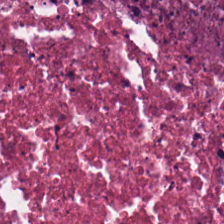224×224 px patch. H&E stain.
Predominant tissue: necrotic debris.
